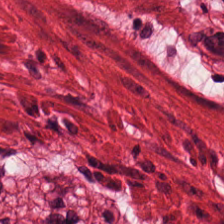H&E stain; FFPE tissue section — Impression → smooth-muscle tissue.
